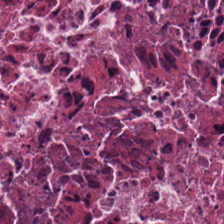Q: What tissue type is shown here?
A: Cellular debris.
